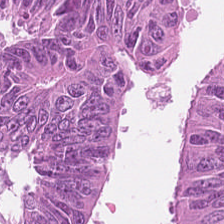FFPE; H&E.
Predominantly colorectal adenocarcinoma epithelium.
